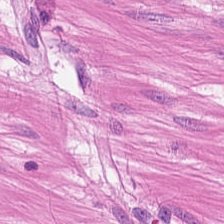H&E-stained tissue section. The tissue is smooth-muscle tissue.
